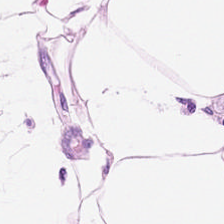Showing adipocytes.
